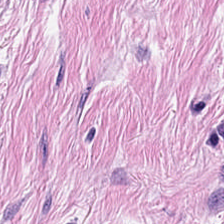H&E; 224×224 px tile; whole-slide-image patch. Finding — tumor-associated stroma.
